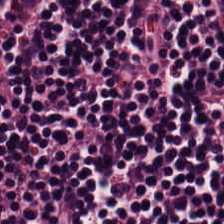H&E — Q: What is shown here?
A: Lymphocytes.
